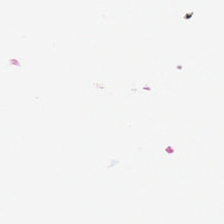H&E.
The classification is empty background.
